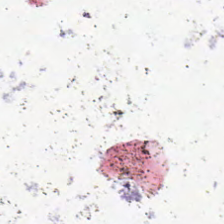H&E; 20× equivalent magnification — Q: What is shown in this field?
A: This is background.
